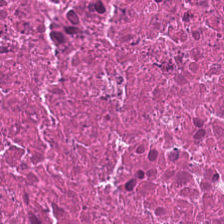The tissue here is debris.
